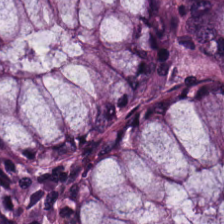0.5 µm per pixel · FFPE · H&E.
Classification = non-neoplastic colon mucosa.
